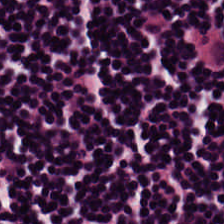Hematoxylin-and-eosin stained section. Showing lymphocytic infiltrate.
